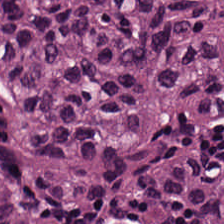H&E patch showing colorectal adenocarcinoma epithelium.
